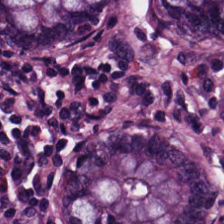Stain: H&E.
Tissue type: non-neoplastic colon mucosa.
